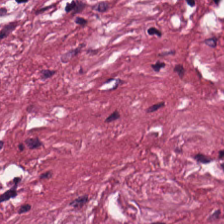H&E stain · 224×224 pixel tile.
The predominant tissue is desmoplastic stroma.
